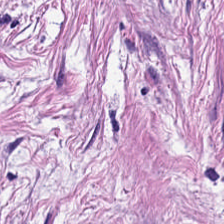Hematoxylin and eosin. The tissue here is tumor stroma.
